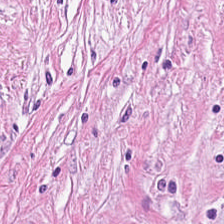H&E stain. Tissue class: tumor-associated stroma.
